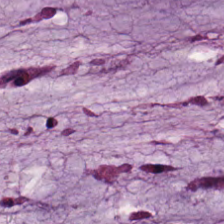Hematoxylin-and-eosin stained section.
Q: What is shown here?
A: Mucin.
